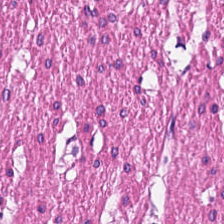H&E-stained tissue section — {"tissue_type": "smooth-muscle tissue"}
